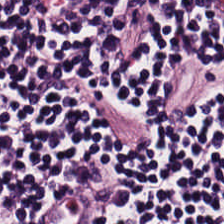Hematoxylin-and-eosin stained section.
The predominant tissue is lymphocytes.
